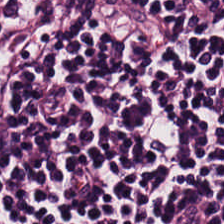Hematoxylin and eosin. Showing lymphocyte aggregate.
